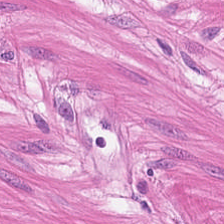H&E — This field is smooth-muscle tissue.
